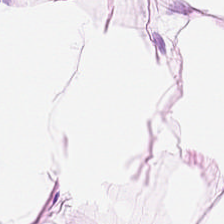Hematoxylin-and-eosin stained section. 224×224 px patch — Tissue class: adipose.
